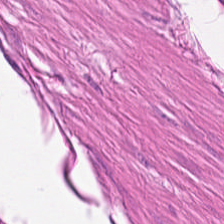H&E stain. Smooth muscle.
